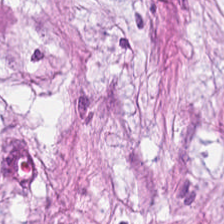Tissue — desmoplastic stroma.
